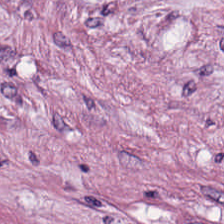Histology → desmoplastic stroma.
